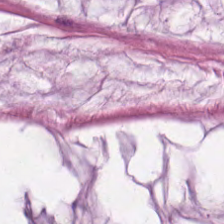Hematoxylin-and-eosin stained section. Predominant tissue = extracellular mucin.
